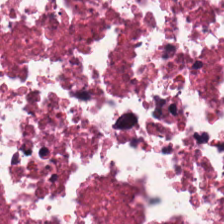Stain: H&E.
Classification: necrotic debris.
